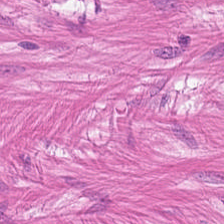0.5 µm per pixel. H&E.
The tissue here is muscularis.
